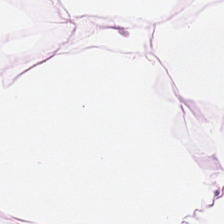This field is fat tissue.
